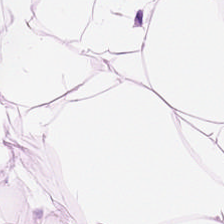Hematoxylin-and-eosin stained section. Showing adipose tissue.
